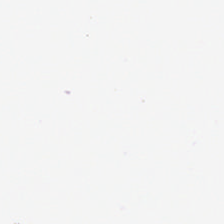Hematoxylin-and-eosin stained section · 0.5 µm/px. Impression → empty background.
